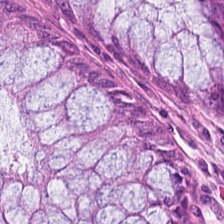Q: What is the predominant tissue type?
A: This is non-neoplastic colon mucosa.
